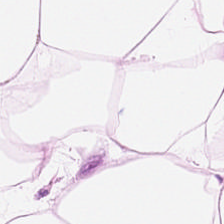Hematoxylin and eosin — Q: What is the predominant tissue type?
A: Adipose tissue.
